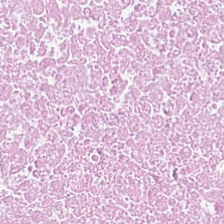H&E. Q: What is the predominant tissue type?
A: Necrotic debris.
